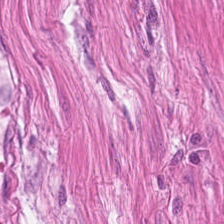224×224 pixel tile. H&E-stained tissue section — Q: Identify the tissue.
A: Smooth muscle.
